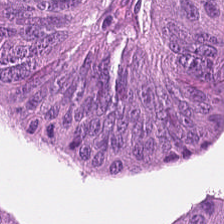Hematoxylin and eosin — Predominantly tumor epithelium.
